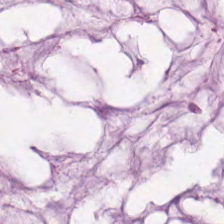Hematoxylin-and-eosin stained section. The tissue here is mucin.
